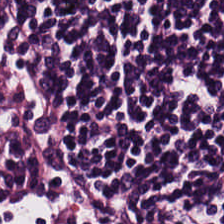H&E stain.
This field is lymphoid infiltrate.
